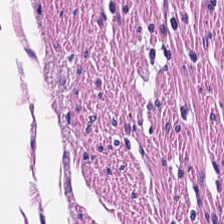Stain: hematoxylin-and-eosin stained section.
Acquisition: WSI patch.
Tissue class: smooth muscle.
